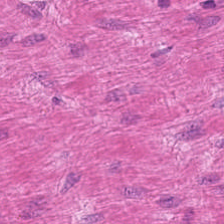This field is smooth-muscle tissue.
